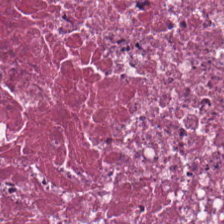Hematoxylin and eosin — Tissue class — necrotic debris.
